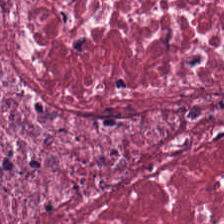H&E stain. Classification — desmoplastic stroma.
